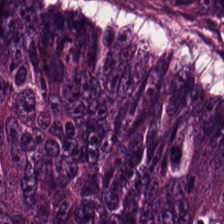224×224 pixel tile. WSI patch. H&E-stained tissue section. This field is malignant epithelium.
